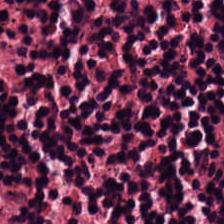H&E-stained tissue section; FFPE tissue section — Lymphocyte aggregate.
